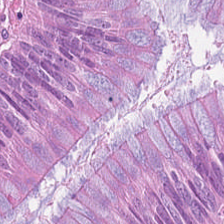Showing adenocarcinoma.
